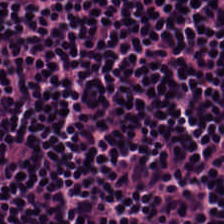H&E-stained tissue section showing lymphocytes.
